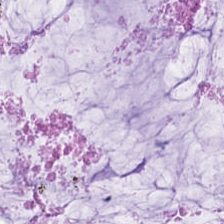H&E stain.
Q: Classify this patch.
A: This is mucin.
